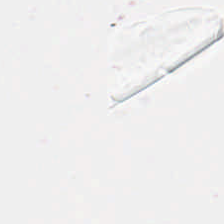Field content — empty background.
